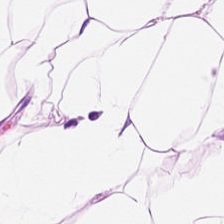H&E-stained tissue section.
Tissue type — fat tissue.
